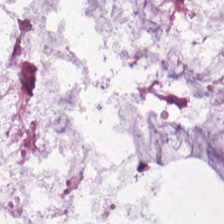Tissue: mucin.
